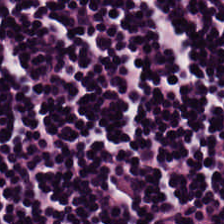H&E patch showing lymphocyte aggregate.
